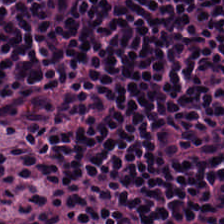Stain: H&E stain.
Tile size: 224×224 px tile.
Classification: lymphocyte aggregate.
